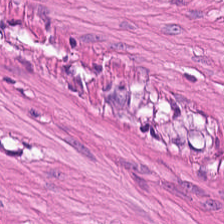H&E-stained tissue section — Finding → muscularis.
